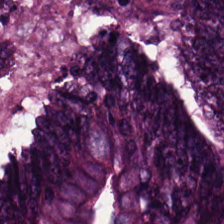H&E.
Q: What is the predominant tissue type?
A: This is colorectal adenocarcinoma.
